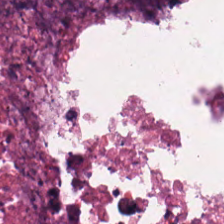Stain: H&E stain.
Tile size: 224×224 px tile.
Resolution: 0.5 microns per pixel.
Tissue class: cellular debris.
